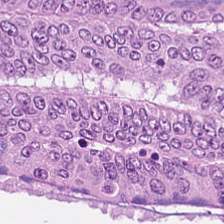Stain: H&E stain.
Tissue type: colorectal adenocarcinoma epithelium.
